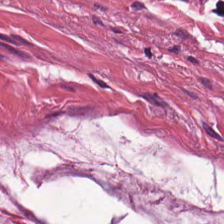H&E. Tissue type — mucus.
